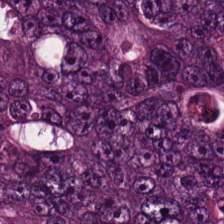Hematoxylin and eosin — Predominant tissue — tumor epithelium.
